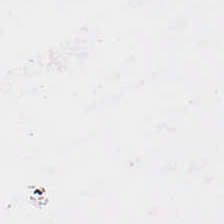Hematoxylin-and-eosin stained section. FFPE.
{"content": "no tissue"}
